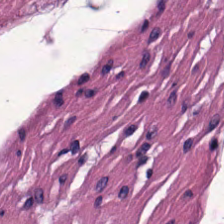Brightfield. H&E-stained tissue section.
Tissue type = smooth-muscle tissue.
